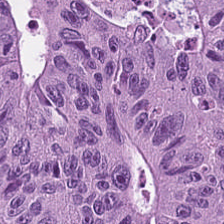Q: What type of tissue is this?
A: Malignant epithelium.
